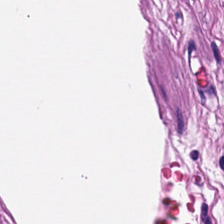Formalin-fixed paraffin-embedded section · brightfield · H&E-stained tissue section. Q: What tissue type is shown here?
A: Smooth muscle.
